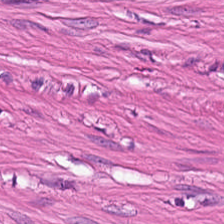Formalin-fixed paraffin-embedded section; hematoxylin and eosin. This patch shows smooth-muscle tissue.
